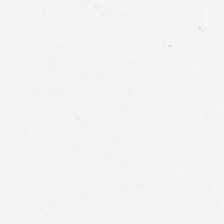H&E stain. This field is background (no tissue).
